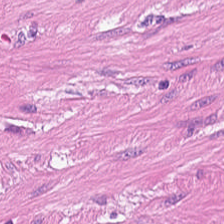H&E — Finding — muscularis.
